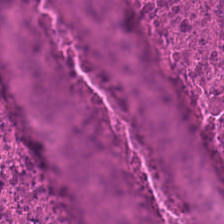Classification — necrotic debris.
